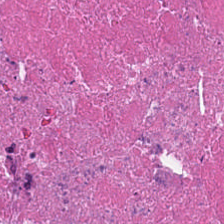Hematoxylin and eosin.
Q: What tissue is shown?
A: It is cellular debris.
